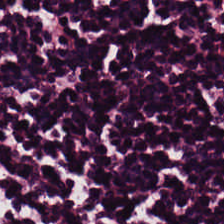Stain: H&E-stained tissue section.
Acquisition: brightfield microscopy.
Resolution: 0.5 µm/px.
Tissue: lymphocyte aggregate.
